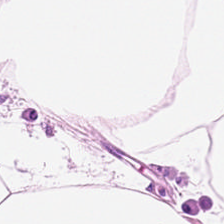Impression → adipose tissue.
